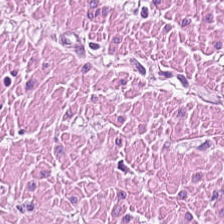H&E. The predominant tissue is muscularis.
